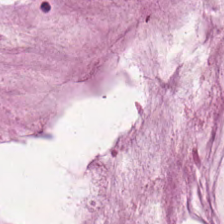Stain: H&E.
Tile size: 224×224 pixel tile.
Tissue: extracellular mucin.
